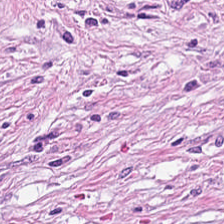Hematoxylin and eosin · whole-slide-image patch. {"tissue_type": "tumor-associated stroma"}
